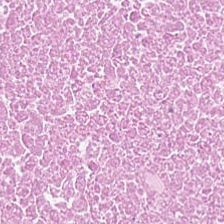Stain: H&E-stained tissue section.
Classification: debris.
